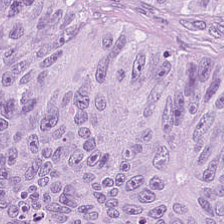Stain: H&E-stained tissue section.
Classification: adenocarcinoma.
